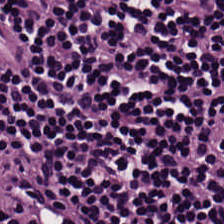224×224 pixel tile. Hematoxylin and eosin. This patch shows lymphocytes.
